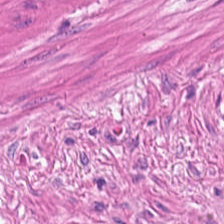Hematoxylin and eosin. FFPE tissue section.
Classification = smooth-muscle tissue.
